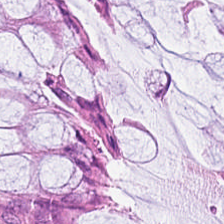Hematoxylin-and-eosin stained section; FFPE; 224×224 pixel tile — The predominant tissue is benign colonic mucosa.
